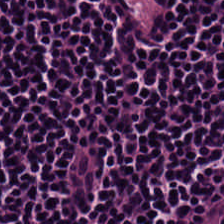Stain: H&E stain.
Predominant tissue: lymphocytic infiltrate.
